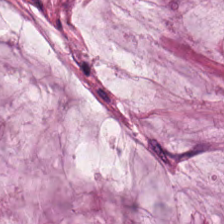Hematoxylin and eosin; 20× equivalent magnification; brightfield microscopy — Histology → mucus.
